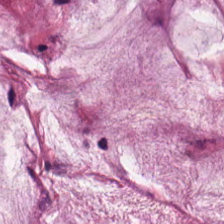Stain: hematoxylin-and-eosin stained section.
Acquisition: whole-slide-image patch.
Classification: mucus.
